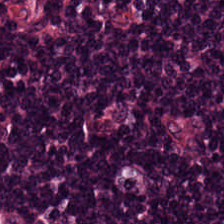H&E. Histology — lymphocytes.
